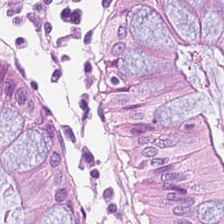Hematoxylin-and-eosin section: benign colonic mucosa.
